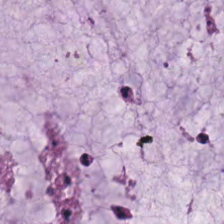H&E. The tissue here is mucin.
